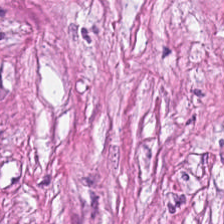H&E-stained tissue section.
The predominant tissue is tumor stroma.
